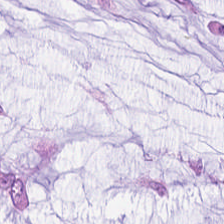Finding — mucus.
